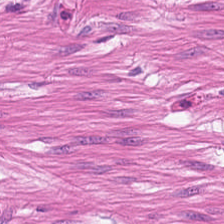224×224 px tile; FFPE tissue section; H&E — Tissue — muscularis.
